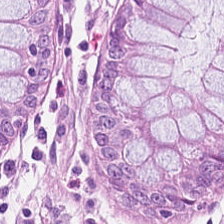Hematoxylin-and-eosin stained section. 0.5 microns per pixel.
Tissue class = non-neoplastic colon mucosa.
